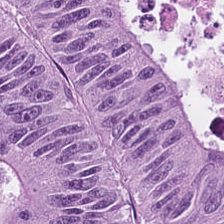H&E-stained tissue section. Q: What type of tissue is this?
A: The field shows colorectal adenocarcinoma epithelium.
